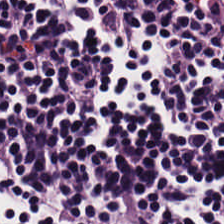H&E stain. WSI patch. 224×224 px patch — Classification — lymphocytes.
